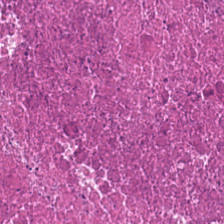Hematoxylin-and-eosin stained section.
Q: What is shown in this field?
A: The field shows debris.
